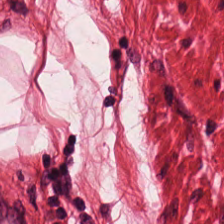This field is smooth muscle.
